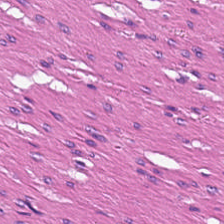Hematoxylin and eosin. The tissue class is smooth-muscle tissue.
